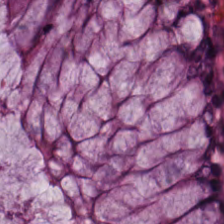Hematoxylin-and-eosin stained section. Tissue: benign colonic mucosa.
